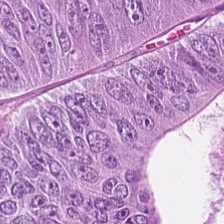FFPE. Hematoxylin and eosin — Predominantly tumor epithelium.
